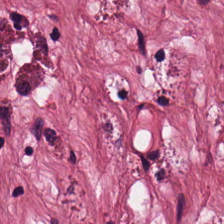Hematoxylin-and-eosin stained section; brightfield; 0.5 µm per pixel — The tissue here is desmoplastic stroma.
